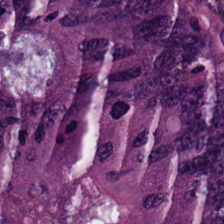Hematoxylin-and-eosin stained section.
Classification = adenocarcinoma.
